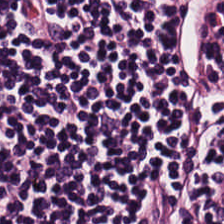Whole-slide-image patch. H&E stain. FFPE tissue section.
Tissue type = lymphocyte aggregate.
